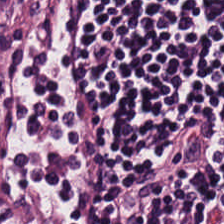0.5 µm per pixel; H&E-stained tissue section — The tissue here is lymphocytic infiltrate.
